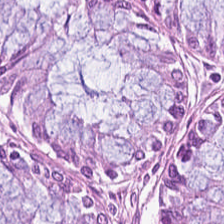Q: What is the predominant tissue type?
A: This is non-neoplastic colon mucosa.
